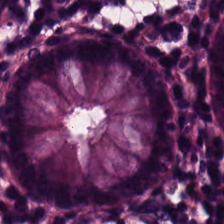H&E-stained tissue section.
This patch shows non-neoplastic colon mucosa.
